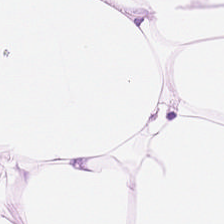Hematoxylin-and-eosin stained section. FFPE. Tissue class: adipose.
